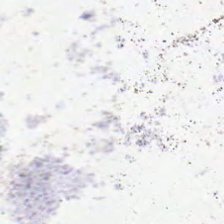Hematoxylin-and-eosin stained section — Q: What is shown in this field?
A: The field shows empty background.
